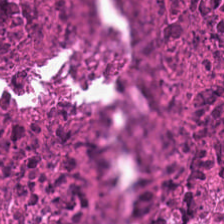Stain: H&E stain.
Tissue: debris.
